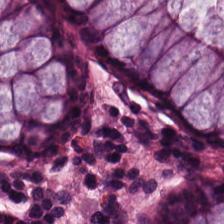224×224 px patch · hematoxylin-and-eosin stained section · FFPE tissue section. This patch shows normal colon mucosa.
